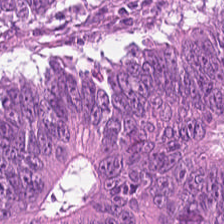H&E stain; WSI patch.
Impression — colorectal adenocarcinoma epithelium.
